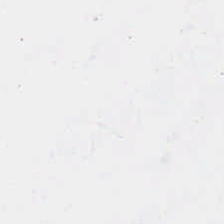Formalin-fixed paraffin-embedded section. Hematoxylin and eosin. This patch shows empty background.
